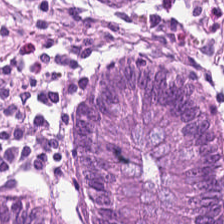FFPE tissue section; 0.5 microns per pixel; hematoxylin and eosin.
Finding — non-neoplastic colon mucosa.
